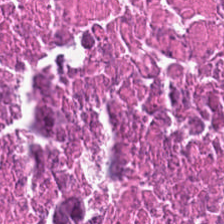Stain: H&E stain.
Resolution: 20× equivalent magnification.
Preparation: FFPE.
Tissue class: cellular debris.
